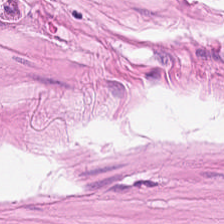Brightfield; H&E-stained tissue section; 224×224 px tile.
{"tissue_type": "muscularis"}
